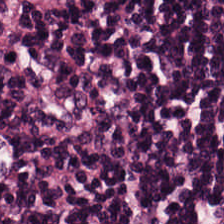Stain: H&E stain.
Tissue class: lymphocytes.
